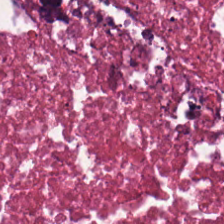224×224 pixel tile; H&E-stained tissue section.
Predominantly debris.
